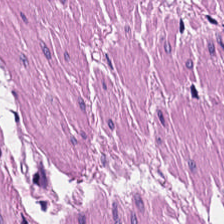H&E stain.
Predominant tissue = smooth-muscle tissue.
